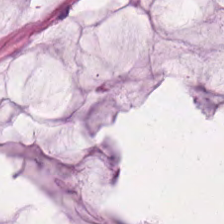Stain: H&E-stained tissue section.
Tile size: 224×224 pixel tile.
Resolution: 0.5 µm/px.
Classification: mucin.
